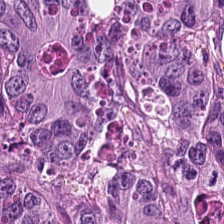H&E stain.
Adenocarcinoma.
